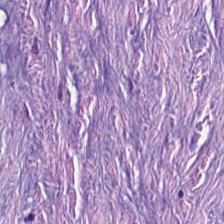224×224 px tile. Whole-slide-image patch. Hematoxylin-and-eosin stained section — Showing cancer-associated stroma.
